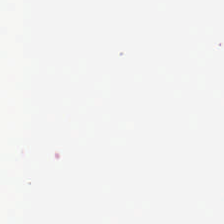Brightfield microscopy · formalin-fixed paraffin-embedded section · H&E-stained tissue section.
Histology → background.
